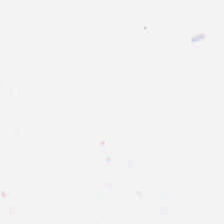Formalin-fixed paraffin-embedded section · hematoxylin-and-eosin stained section · whole-slide-image patch — Field content = empty background.
